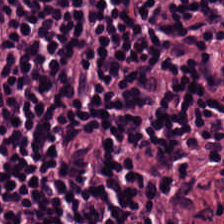H&E. The tissue here is lymphocytic infiltrate.
